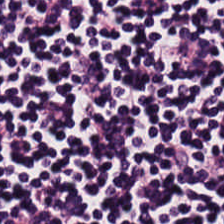H&E. 224×224 px tile. Brightfield microscopy. This field is lymphocytic infiltrate.
